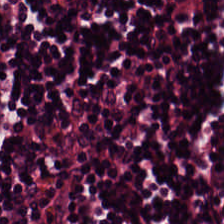H&E-stained tissue section. WSI patch. FFPE tissue section. Histology → lymphocytes.
